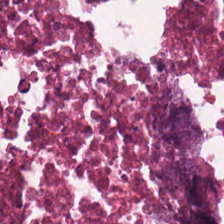Hematoxylin-and-eosin stained section — Finding — debris.
